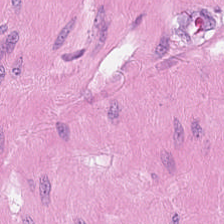H&E — smooth-muscle tissue.
